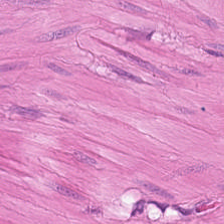Stain: hematoxylin and eosin.
Resolution: 0.5 µm/px.
Tile size: 224×224 pixel tile.
Tissue type: muscularis.
